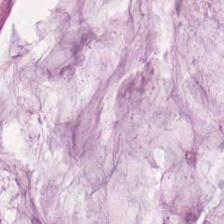Impression → mucus.
